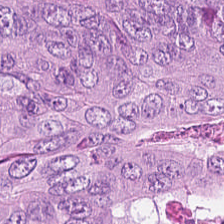H&E stain.
The tissue is tumor epithelium.
